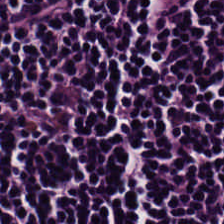H&E-stained tissue section. The predominant tissue is lymphoid infiltrate.
